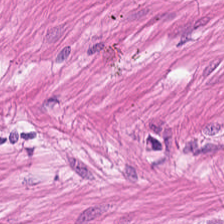FFPE · hematoxylin and eosin. Smooth muscle.
